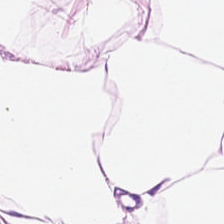Impression — fat tissue.
